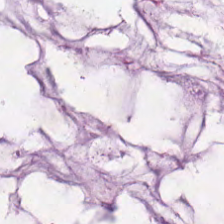0.5 µm/px; H&E — Q: What is shown in this field?
A: This is mucin.
